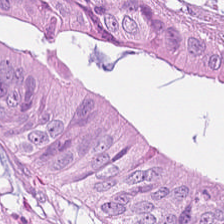Hematoxylin and eosin. FFPE tissue section.
Tissue type = malignant epithelium.
